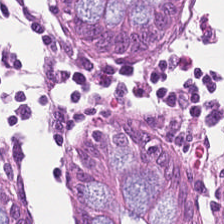H&E — normal colon mucosa.
